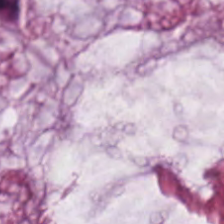H&E stain. Finding → extracellular mucin.
